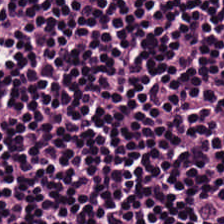H&E · 224×224 px tile — Finding → lymphocyte aggregate.
